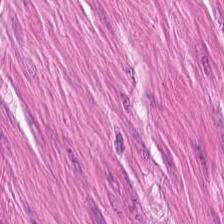Showing smooth-muscle tissue.
